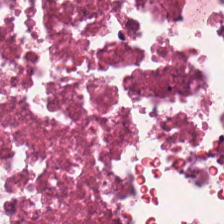Hematoxylin-and-eosin stained section. Brightfield.
Q: What tissue is shown?
A: The field shows necrotic debris.
